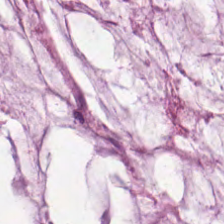Q: Identify the tissue.
A: This is extracellular mucin.
